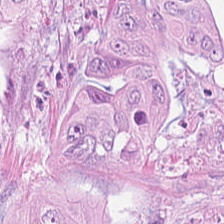H&E-stained tissue section. Classification: tumor epithelium.
